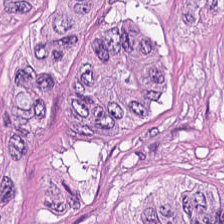H&E stain. This patch shows colorectal adenocarcinoma.
